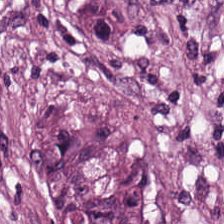Formalin-fixed paraffin-embedded section. H&E-stained tissue section. 0.5 µm/px. The tissue here is cancer-associated stroma.
